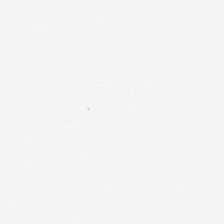Finding → background.
